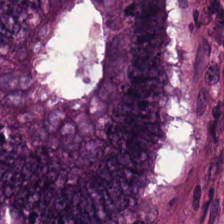H&E — colorectal adenocarcinoma epithelium.
